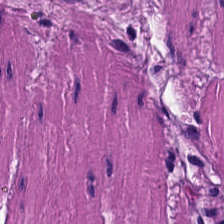Stain: H&E-stained tissue section.
Tissue type: muscularis.
